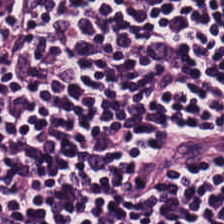Q: Identify the tissue.
A: Lymphoid infiltrate.
